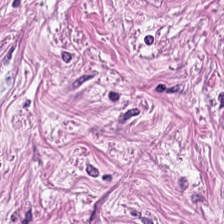Formalin-fixed paraffin-embedded section. H&E. 224×224 px tile — Impression → tumor stroma.
